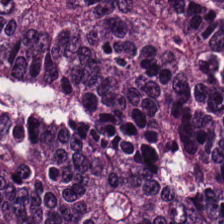H&E patch showing malignant epithelium.
